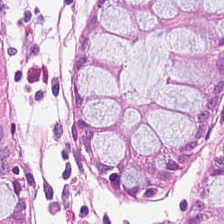H&E; FFPE.
Non-neoplastic colon mucosa.
